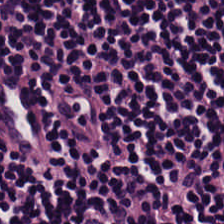Stain: H&E-stained tissue section.
Tissue: lymphocyte aggregate.
